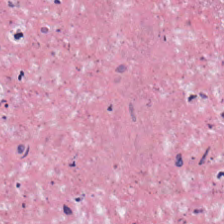{"tissue_type": "cellular debris"}
